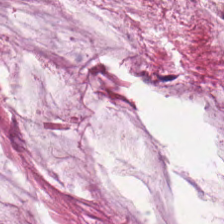Whole-slide-image patch. Hematoxylin and eosin. 0.5 µm/px. This patch shows mucus.
